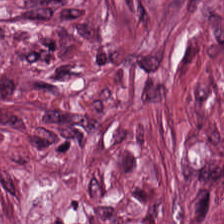H&E. 224×224 px tile — Classification = tumor-associated stroma.
